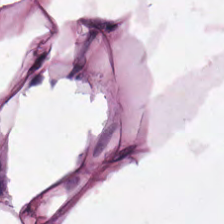H&E-stained tissue section. Predominantly adipocytes.
